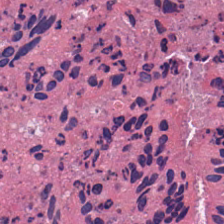Stain: H&E.
Preparation: FFPE tissue section.
Classification: necrotic debris.
